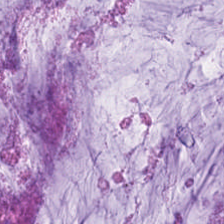Hematoxylin and eosin — The tissue type is extracellular mucin.
